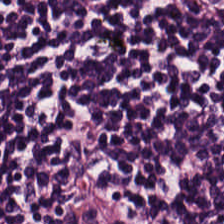H&E stain. 0.5 µm/px — Impression → lymphocyte aggregate.
